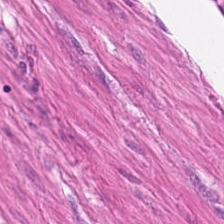H&E-stained tissue section. Classification = muscularis.
